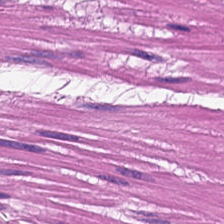H&E stain.
{"tissue_type": "smooth muscle"}
